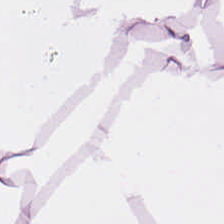H&E stain · WSI patch.
Q: What is the predominant tissue type?
A: It is fat tissue.
